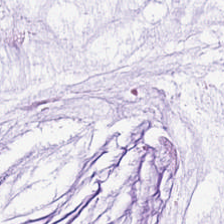Classification — extracellular mucin.
